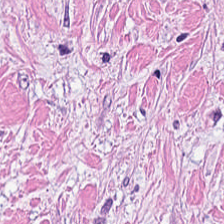Hematoxylin-and-eosin stained section.
This field is desmoplastic stroma.
